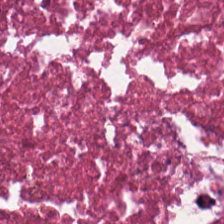H&E-stained tissue section; brightfield microscopy — Classification = debris.
